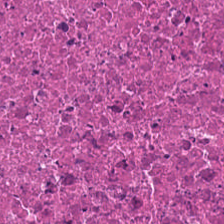H&E stain. The tissue here is necrotic debris.
